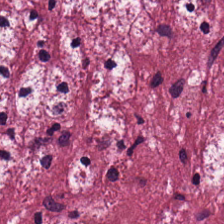Histology — cancer-associated stroma.
